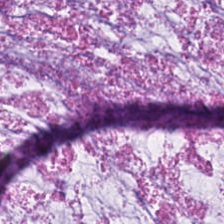H&E-stained tissue section.
Predominant tissue — extracellular mucin.
